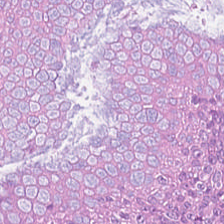224×224 px patch; brightfield; H&E.
This patch shows adenocarcinoma.
